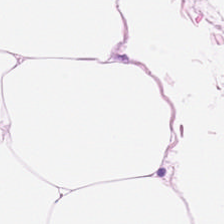H&E-stained tissue section. Q: What type of tissue is this?
A: This is adipocytes.
